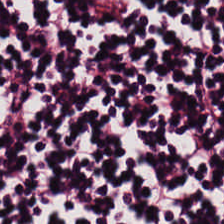Hematoxylin-and-eosin stained section — The tissue here is lymphoid infiltrate.
